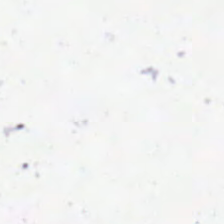Hematoxylin-and-eosin stained section. Finding → background.
